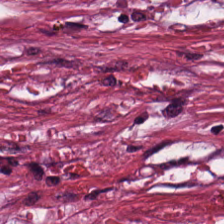The predominant tissue is tumor-associated stroma.
